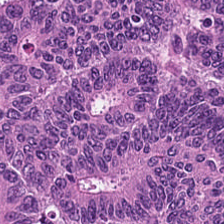WSI patch. Hematoxylin and eosin. The tissue type is adenocarcinoma.
